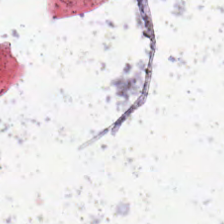0.5 µm/px. Hematoxylin and eosin. 224×224 pixel tile — The field content is empty background.
